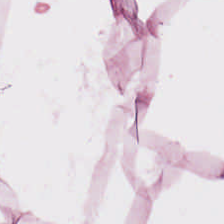Histology → adipose tissue.
